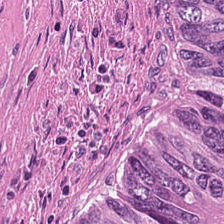{"tissue_type": "cellular debris"}
